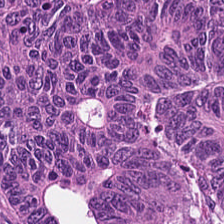This field is malignant epithelium.
